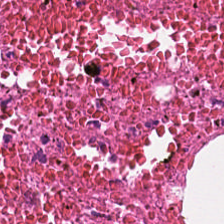Hematoxylin and eosin — The tissue type is necrotic debris.
